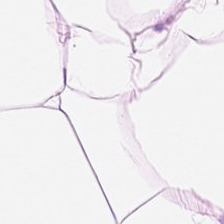H&E stain · 20× equivalent magnification.
The tissue here is adipocytes.
